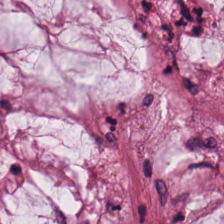H&E-stained tissue section. 20× equivalent magnification — Finding — mucus.
